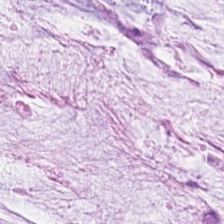Hematoxylin and eosin. 224×224 px tile.
Impression → mucin.
